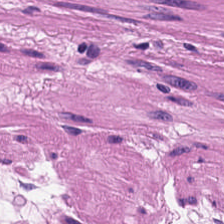Stain: hematoxylin and eosin.
Tissue class: smooth muscle.
